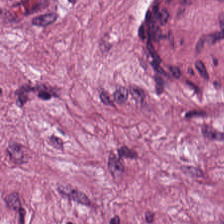Classification — tumor stroma.
